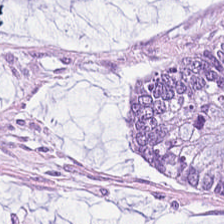Hematoxylin and eosin — Histology — mucin.
